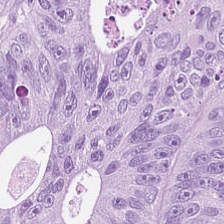Stain: H&E-stained tissue section.
Tissue: colorectal adenocarcinoma.
